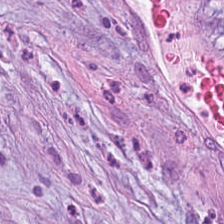0.5 µm/px. H&E-stained tissue section. Brightfield. Q: What is shown in this field?
A: This is desmoplastic stroma.
